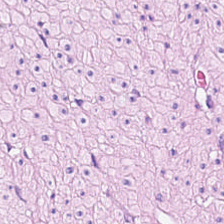Predominantly smooth muscle.
